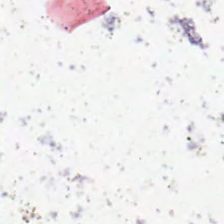20× equivalent magnification · H&E stain. Classification = empty background.
